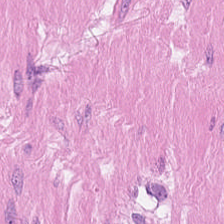224×224 pixel tile; FFPE tissue section; hematoxylin and eosin. Showing smooth muscle.
